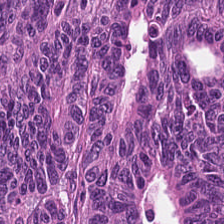This field is colorectal adenocarcinoma.
